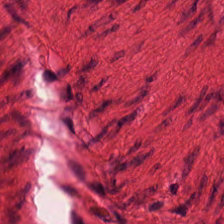Hematoxylin and eosin — Tissue type = muscularis.
